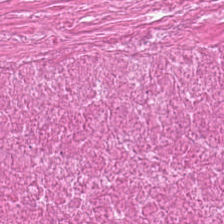{"tissue_type": "cellular debris"}
